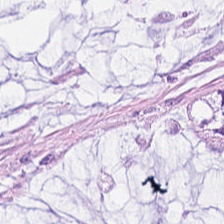Formalin-fixed paraffin-embedded section. H&E stain. Q: What is shown in this field?
A: It is mucin.
